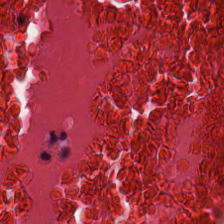Hematoxylin-and-eosin stained section.
Q: Classify this patch.
A: Debris.
